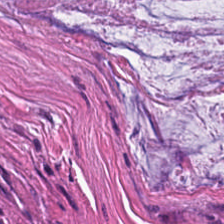Q: What is the predominant tissue type?
A: The field shows mucin.
